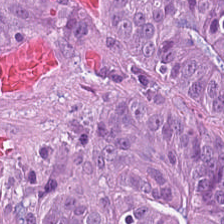Hematoxylin and eosin; FFPE — Q: What type of tissue is this?
A: Adenocarcinoma.
